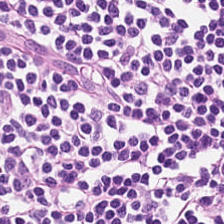The tissue class is lymphocyte aggregate.
